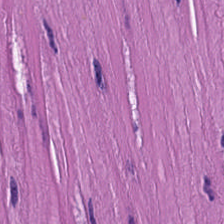Hematoxylin and eosin · formalin-fixed paraffin-embedded section — Predominantly smooth-muscle tissue.
